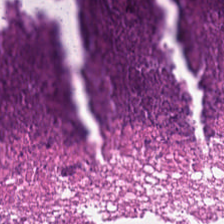WSI patch. 224×224 px tile. H&E-stained tissue section. Q: Classify this patch.
A: The field shows cellular debris.
